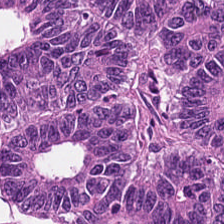Hematoxylin and eosin; 0.5 µm per pixel. This patch shows colorectal adenocarcinoma epithelium.
